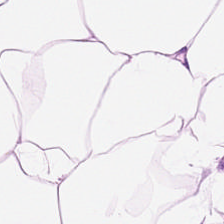H&E-stained tissue section.
Adipose tissue.
